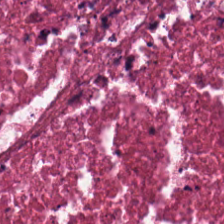H&E-stained tissue section.
Tissue class = cellular debris.
